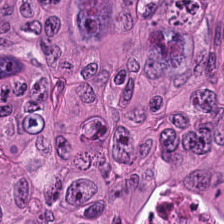This patch shows malignant epithelium.
